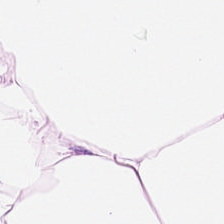Stain: H&E.
Predominant tissue: fat tissue.
